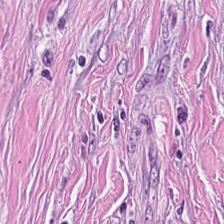Tissue = cancer-associated stroma.
